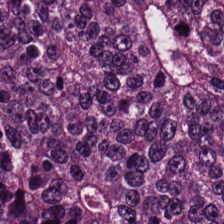Stain: hematoxylin and eosin.
Resolution: 0.5 µm per pixel.
Tissue type: adenocarcinoma.
